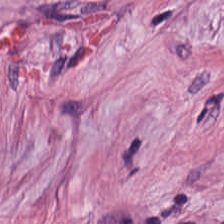H&E stain.
The tissue type is tumor-associated stroma.
